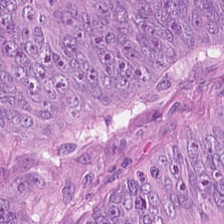Stain: hematoxylin-and-eosin stained section.
Tissue class: colorectal adenocarcinoma epithelium.
